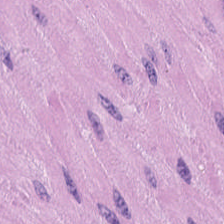H&E.
The predominant tissue is smooth muscle.
